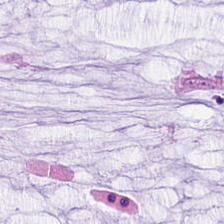H&E stain. The tissue here is mucus.
